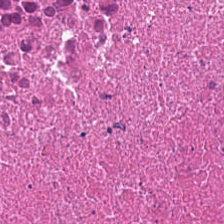H&E; brightfield microscopy; 0.5 microns per pixel — Tissue class — debris.
